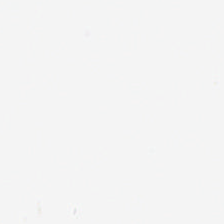H&E-stained tissue section. Background (no tissue).
